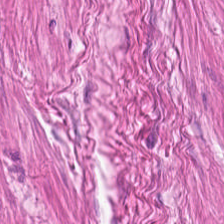Stain: hematoxylin-and-eosin stained section.
Tissue class: muscularis.
